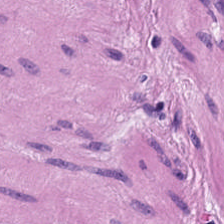Stain: H&E.
Tissue: muscularis.
